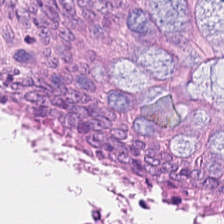H&E; brightfield microscopy; 0.5 µm/px. Non-neoplastic colon mucosa.
